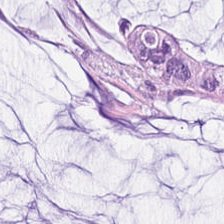H&E-stained tissue section. Predominantly mucin.
